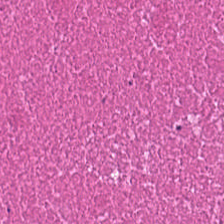H&E-stained tissue section · whole-slide-image patch.
Predominant tissue — necrotic debris.
